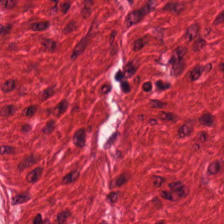Whole-slide-image patch; H&E stain — Q: Identify the tissue.
A: It is smooth-muscle tissue.
